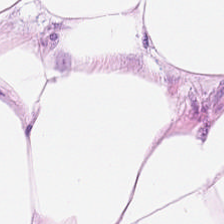H&E — Predominantly adipose tissue.
